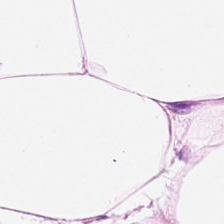WSI patch; H&E stain. Histology → adipose.
